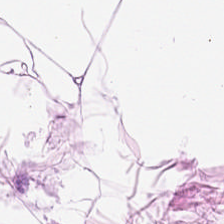Hematoxylin and eosin. Impression → fat tissue.
